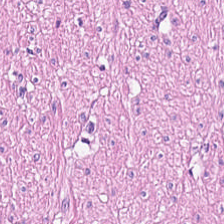Hematoxylin-and-eosin stained section.
Showing smooth-muscle tissue.
